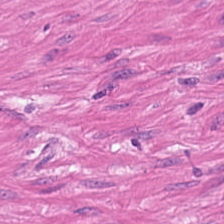H&E stain. Q: What is shown here?
A: Smooth muscle.
